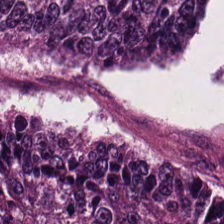The predominant tissue is adenocarcinoma.
